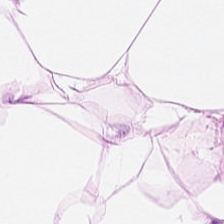FFPE; hematoxylin and eosin. Histology → fat tissue.
